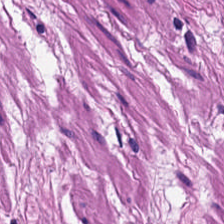H&E stain. Whole-slide-image patch. This patch shows smooth-muscle tissue.
